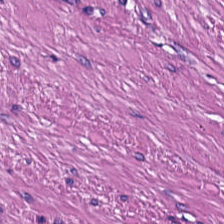H&E patch showing muscularis.
